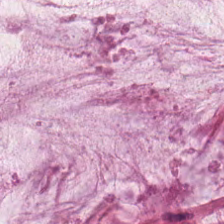H&E. Mucin.
